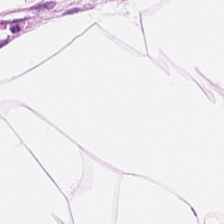Whole-slide-image patch · hematoxylin-and-eosin stained section.
Q: Identify the tissue.
A: The field shows adipose tissue.
